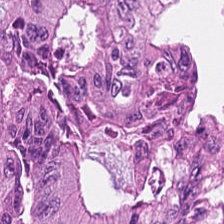H&E. Q: What does this patch show?
A: The field shows colorectal adenocarcinoma.
